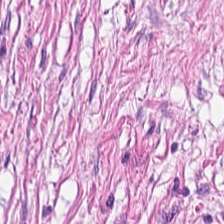H&E-stained tissue section.
Q: What tissue is shown?
A: The field shows tumor stroma.
